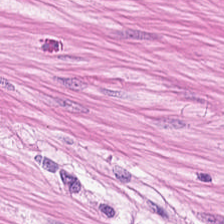The predominant tissue is smooth muscle.
